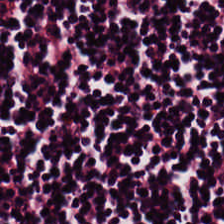0.5 µm/px. H&E stain — The predominant tissue is lymphocytes.
